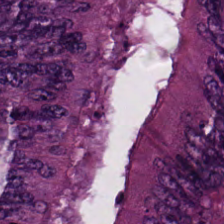Stain: hematoxylin and eosin.
Tissue type: malignant epithelium.
